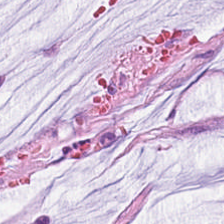Stain: hematoxylin and eosin.
Classification: mucus.
